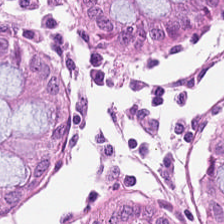H&E stain.
Impression — non-neoplastic colon mucosa.
